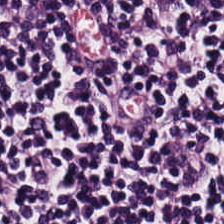Hematoxylin and eosin.
Q: What tissue is shown?
A: It is lymphocyte aggregate.
